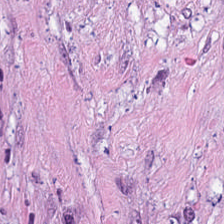H&E · FFPE · 224×224 px tile — Q: What tissue type is shown here?
A: The field shows desmoplastic stroma.
